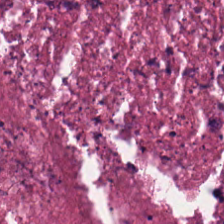Q: Identify the tissue.
A: It is cellular debris.
